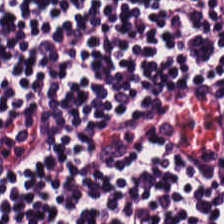0.5 µm/px · hematoxylin and eosin · formalin-fixed paraffin-embedded section. This patch shows lymphoid infiltrate.
